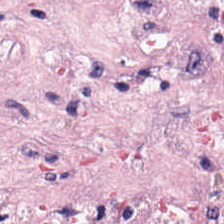Hematoxylin and eosin.
Q: What tissue is shown?
A: The field shows tumor-associated stroma.
